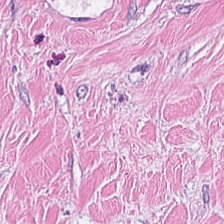Q: What is shown here?
A: This is desmoplastic stroma.
